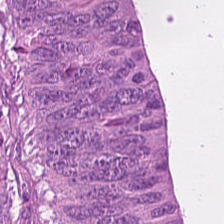H&E stain. Finding → tumor epithelium.
